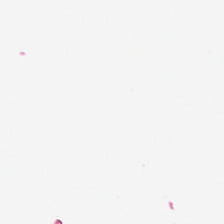H&E-stained tissue section. 224×224 px patch. Classification = background.
